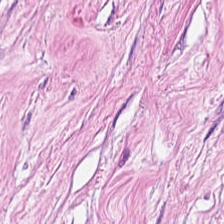H&E stain; 0.5 µm/px.
The tissue here is desmoplastic stroma.
